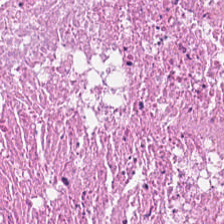Stain: H&E stain.
Resolution: 20× equivalent magnification.
Acquisition: brightfield microscopy.
Classification: cellular debris.
